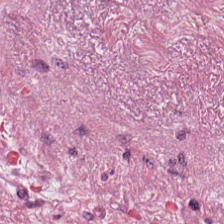Q: What does this patch show?
A: It is desmoplastic stroma.
